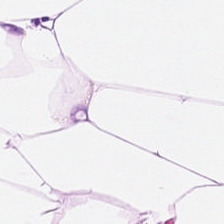224×224 pixel tile. H&E-stained tissue section.
{"tissue_type": "fat tissue"}
